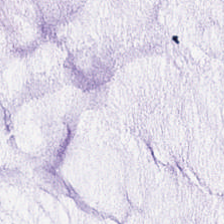H&E patch showing mucus.
